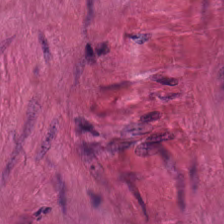224×224 px tile; H&E. Showing smooth muscle.
